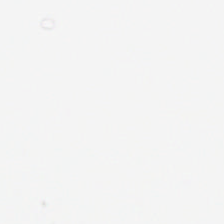H&E stain. Brightfield microscopy. FFPE. Background — no tissue in this field.
